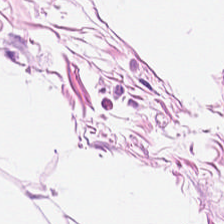Classification = adipocytes.
